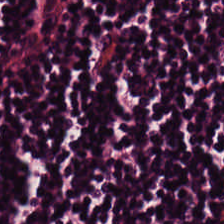The tissue class is lymphocyte aggregate.
